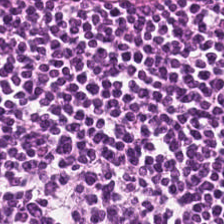Predominant tissue — lymphocyte aggregate.
